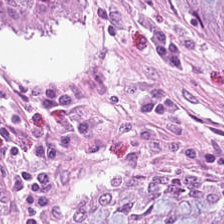Hematoxylin-and-eosin stained section. FFPE tissue section.
Q: What does this patch show?
A: It is non-neoplastic colon mucosa.
